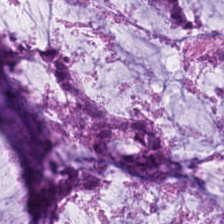Hematoxylin-and-eosin stained section. The predominant tissue is extracellular mucin.
